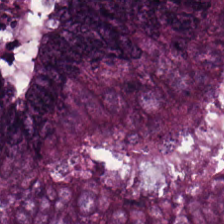Hematoxylin and eosin — {"tissue_type": "colorectal adenocarcinoma"}
